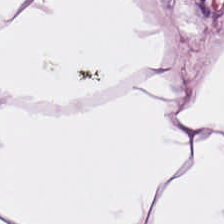H&E-stained tissue section; FFPE tissue section. Predominantly adipocytes.
